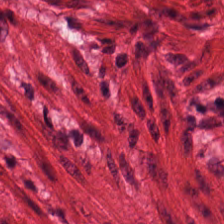Hematoxylin-and-eosin stained section · 0.5 µm/px — The tissue is smooth-muscle tissue.
